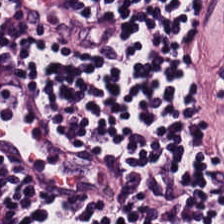H&E stain · FFPE tissue section — Predominantly lymphocytic infiltrate.
